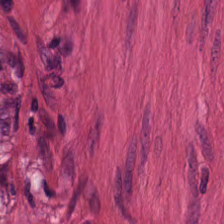H&E. Predominantly smooth muscle.
